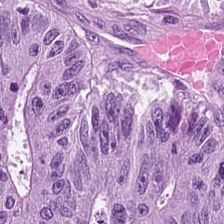H&E. Showing colorectal adenocarcinoma.
